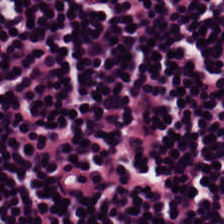H&E stain · 224×224 pixel tile · 20× equivalent magnification. Showing lymphocyte aggregate.
